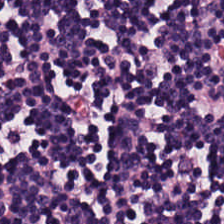H&E-stained tissue section. Whole-slide-image patch. FFPE.
The tissue is lymphocytes.
